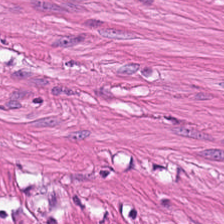Stain: H&E stain.
Acquisition: brightfield.
Tile size: 224×224 pixel tile.
Predominant tissue: smooth-muscle tissue.
